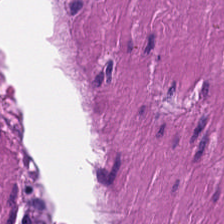Hematoxylin-and-eosin stained section.
The tissue is smooth muscle.
